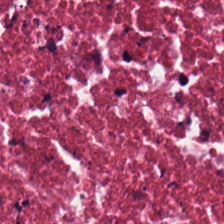Stain: hematoxylin and eosin.
Tissue: necrotic debris.
